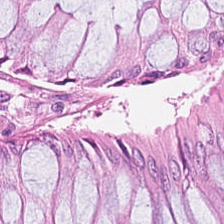H&E stain.
Tissue class — normal colonic mucosa.
